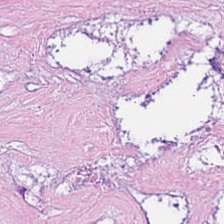Hematoxylin-and-eosin stained section — Tissue: necrotic debris.
